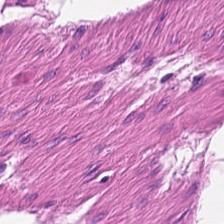Q: What type of tissue is this?
A: It is smooth-muscle tissue.
